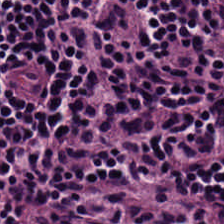FFPE tissue section; hematoxylin and eosin.
Impression — lymphocytic infiltrate.
